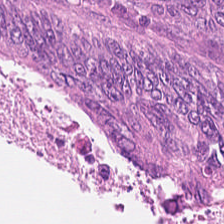Stain: hematoxylin-and-eosin stained section.
Tissue: adenocarcinoma.
